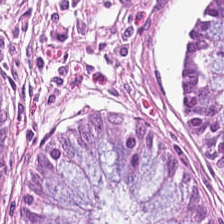Stain: hematoxylin-and-eosin stained section.
Tissue: normal colonic mucosa.
